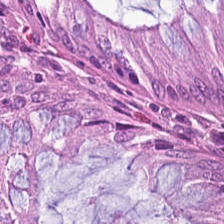Hematoxylin-and-eosin stained section. 0.5 microns per pixel. Tissue — benign colonic mucosa.
